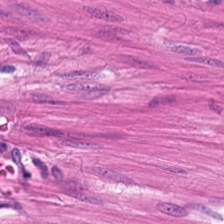Hematoxylin-and-eosin section: muscularis.
